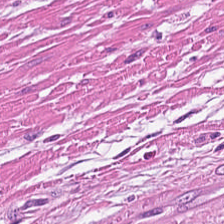Hematoxylin-and-eosin stained section; 224×224 px patch. {"tissue_type": "smooth muscle"}
